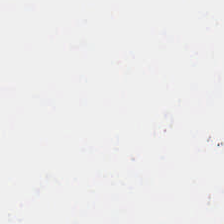Hematoxylin and eosin; 0.5 microns per pixel.
This patch shows background (no tissue).
